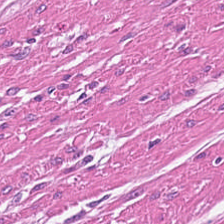Hematoxylin and eosin · 0.5 µm/px. Finding — smooth-muscle tissue.
